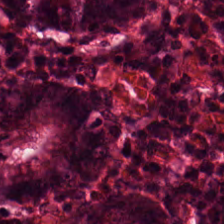224×224 pixel tile; whole-slide-image patch; H&E stain — Predominant tissue: normal colon mucosa.
